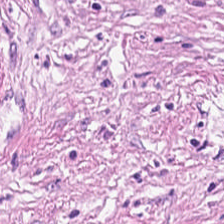Hematoxylin and eosin; FFPE tissue section.
The tissue type is cancer-associated stroma.
